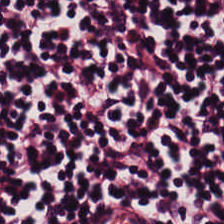Hematoxylin and eosin · FFPE · 0.5 µm per pixel.
Tissue class — lymphocytes.
